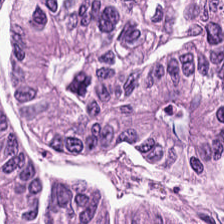H&E.
This patch shows colorectal adenocarcinoma.
